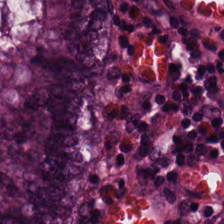Hematoxylin-and-eosin stained section — Q: What is shown here?
A: It is normal colon mucosa.
